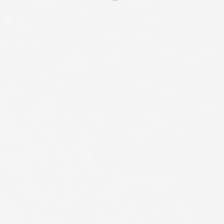Content — background.
